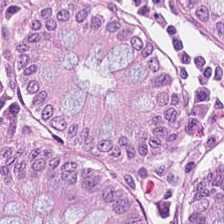Stain: H&E.
Acquisition: whole-slide-image patch.
Classification: normal colon mucosa.
